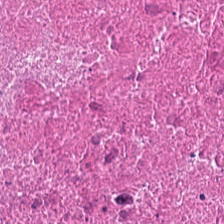0.5 microns per pixel. Hematoxylin-and-eosin stained section — Impression → debris.
